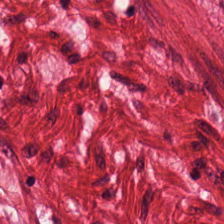H&E-stained tissue section; 224×224 pixel tile. Q: What does this patch show?
A: The field shows smooth muscle.
